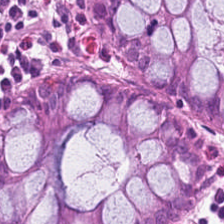Stain: H&E-stained tissue section.
Classification: normal colon mucosa.
